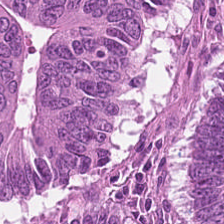0.5 µm/px · hematoxylin-and-eosin stained section · 224×224 px patch.
This patch shows adenocarcinoma.
